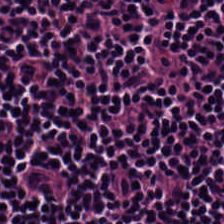H&E-stained tissue section — Finding — lymphoid infiltrate.
